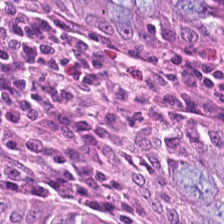Tissue type — normal colonic mucosa.
